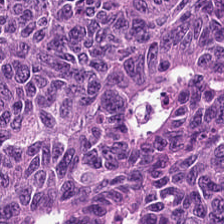H&E stain. FFPE tissue section — The predominant tissue is colorectal adenocarcinoma.
